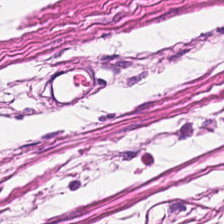Hematoxylin and eosin. 0.5 microns per pixel. 224×224 px tile. Histology — smooth-muscle tissue.
